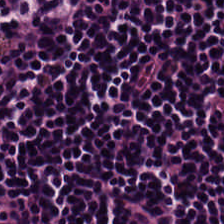Impression → lymphocytic infiltrate.
